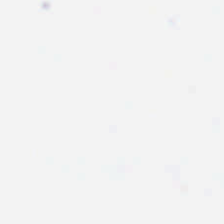H&E stain — Q: What is shown in this field?
A: Background (no tissue).
